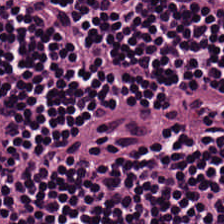H&E. This field is lymphocyte aggregate.
